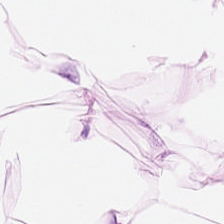H&E-stained tissue section. The predominant tissue is adipocytes.
